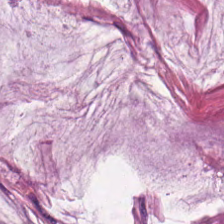Hematoxylin and eosin — The tissue here is mucus.
